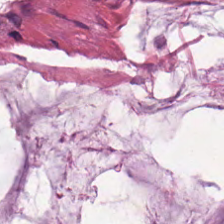H&E stain; 0.5 microns per pixel; 224×224 px tile — Q: Classify this patch.
A: It is mucus.
